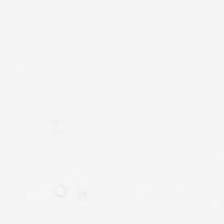Stain: hematoxylin-and-eosin stained section.
Preparation: FFPE.
Content: empty background.
